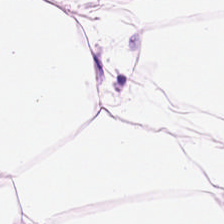The predominant tissue is adipocytes.
